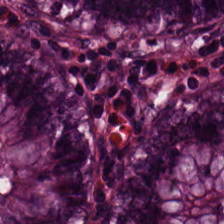Hematoxylin and eosin — {"tissue_type": "benign colonic mucosa"}
